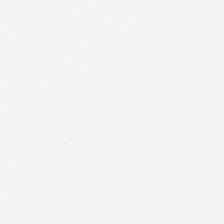Formalin-fixed paraffin-embedded section · hematoxylin-and-eosin stained section. No tissue present; background only.
